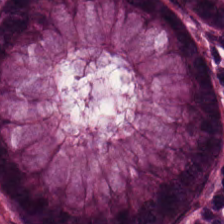H&E-stained tissue section showing normal colonic mucosa.
